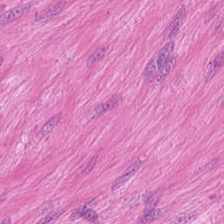224×224 px patch; H&E-stained tissue section — The tissue class is smooth muscle.
